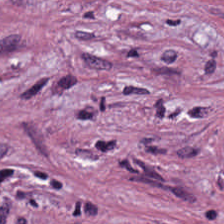Stain: H&E stain.
Preparation: formalin-fixed paraffin-embedded section.
Acquisition: whole-slide-image patch.
Predominant tissue: cancer-associated stroma.
